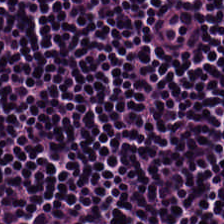{"tissue_type": "lymphoid infiltrate"}
